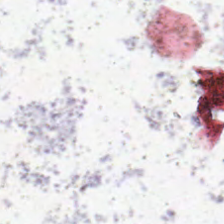H&E. 0.5 µm per pixel. 224×224 px tile. This patch shows background.
